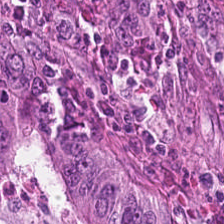FFPE. H&E — Q: What type of tissue is this?
A: This is adenocarcinoma.
